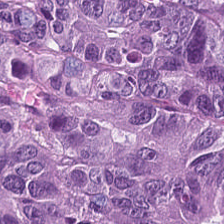20× equivalent magnification. H&E-stained tissue section. Formalin-fixed paraffin-embedded section — Tissue type: tumor epithelium.
